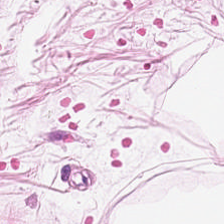0.5 microns per pixel. H&E.
Q: Classify this patch.
A: The field shows adipose tissue.
